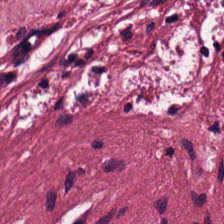FFPE. Hematoxylin and eosin. 224×224 pixel tile — This patch shows tumor stroma.
